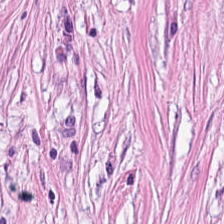Whole-slide-image patch · FFPE · hematoxylin-and-eosin stained section. The predominant tissue is tumor stroma.
